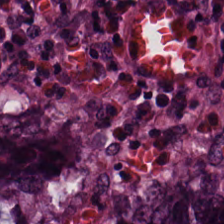Stain: H&E-stained tissue section.
Tissue: malignant epithelium.
